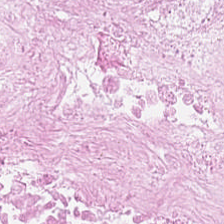H&E — debris.
